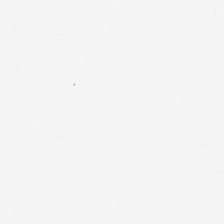H&E stain.
Empty field — no tissue.
